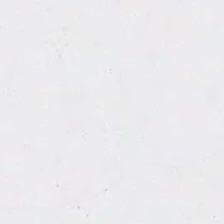Hematoxylin and eosin.
Background.
